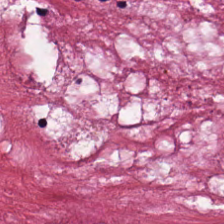Hematoxylin-and-eosin stained section.
Q: Classify this patch.
A: Desmoplastic stroma.
